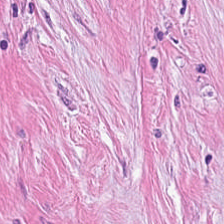Hematoxylin and eosin. 0.5 microns per pixel — Showing desmoplastic stroma.
